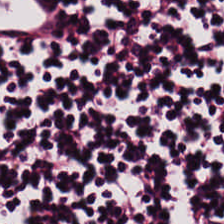Hematoxylin-and-eosin stained section · brightfield — Q: What tissue is shown?
A: Lymphocytes.
